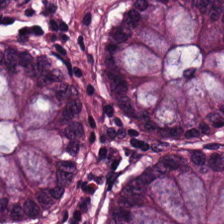Brightfield; H&E; 224×224 pixel tile — Q: What is shown here?
A: Benign colonic mucosa.
